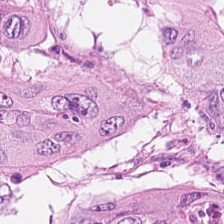H&E stain · 0.5 microns per pixel.
Tissue: colorectal adenocarcinoma epithelium.
